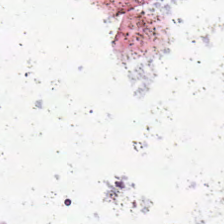Stain: H&E.
Acquisition: brightfield.
Tile size: 224×224 px tile.
Content: empty background.
